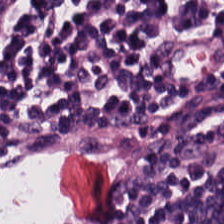Brightfield; H&E; FFPE tissue section.
Impression — lymphocyte aggregate.
